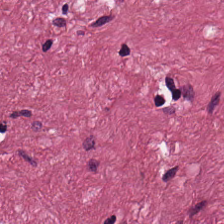H&E. {"tissue_type": "cancer-associated stroma"}
